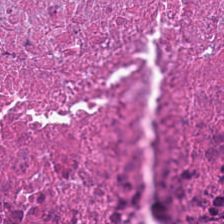Stain: H&E.
Tissue type: necrotic debris.
